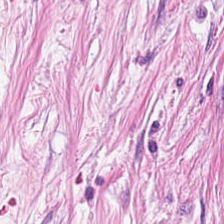Hematoxylin-and-eosin stained section; FFPE tissue section — The tissue class is tumor stroma.
